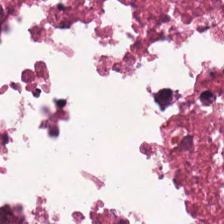H&E; WSI patch — Histology → debris.
